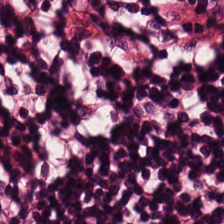20× equivalent magnification. H&E-stained tissue section. 224×224 px tile.
Tissue class = lymphoid infiltrate.
